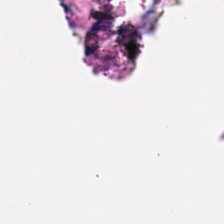H&E-stained tissue section — Q: What is shown here?
A: It is background.
